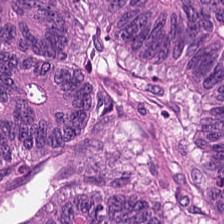H&E stain. This field is adenocarcinoma.
